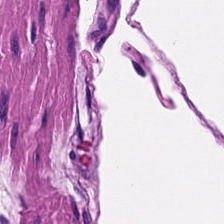Stain: hematoxylin and eosin.
Preparation: FFPE tissue section.
Predominant tissue: muscularis.
